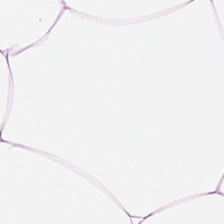H&E stain. FFPE. Tissue type — adipocytes.
